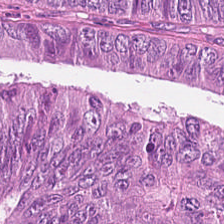Finding — colorectal adenocarcinoma epithelium.
